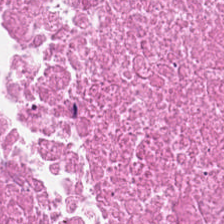H&E — Showing necrotic debris.
